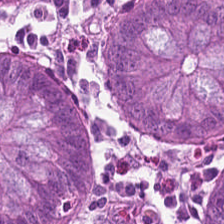H&E — {"tissue_type": "non-neoplastic colon mucosa"}
